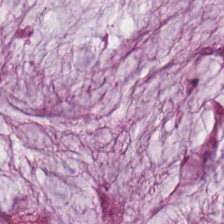H&E-stained tissue section; whole-slide-image patch. Showing extracellular mucin.
